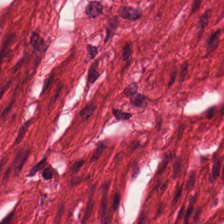0.5 µm per pixel · hematoxylin and eosin — Impression — smooth-muscle tissue.
